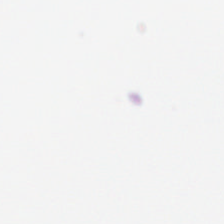H&E stain · WSI patch · 0.5 µm/px.
Finding — background (no tissue).
